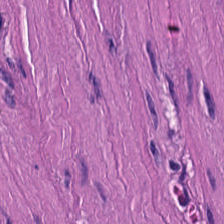H&E-stained tissue section. FFPE. WSI patch. Tissue type — smooth-muscle tissue.
